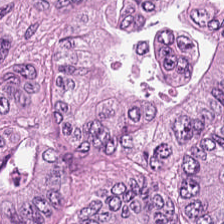H&E-stained tissue section. Finding → colorectal adenocarcinoma epithelium.
